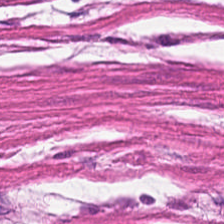20× equivalent magnification; H&E. This field is smooth-muscle tissue.
